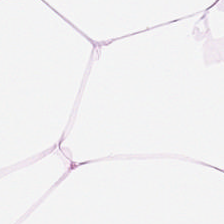Hematoxylin-and-eosin stained section; formalin-fixed paraffin-embedded section; 0.5 microns per pixel — Impression → fat tissue.
